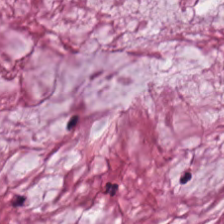Tissue type — mucin.
